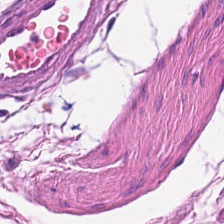Hematoxylin and eosin; 224×224 pixel tile. Predominantly muscularis.
